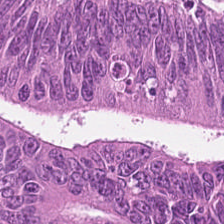Hematoxylin and eosin. Tumor epithelium.
